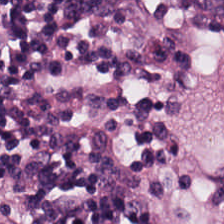H&E-stained tissue section. 224×224 pixel tile. The predominant tissue is lymphocytes.
